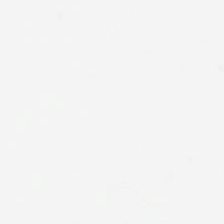20× equivalent magnification; hematoxylin and eosin; FFPE tissue section. Q: What is shown here?
A: The field shows empty background.
